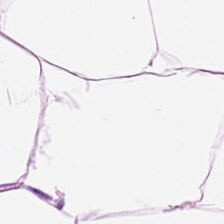Stain: H&E-stained tissue section.
Predominant tissue: adipose.
